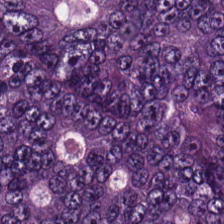Hematoxylin and eosin — Showing tumor epithelium.
